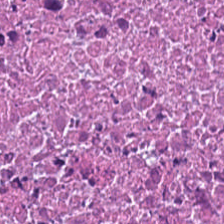224×224 pixel tile · hematoxylin-and-eosin stained section — Tissue: necrotic debris.
